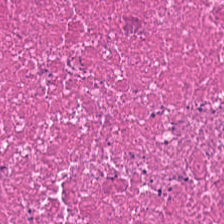Tissue = necrotic debris.
